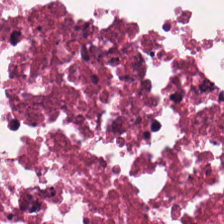Stain: hematoxylin-and-eosin stained section.
Resolution: 0.5 µm per pixel.
Acquisition: whole-slide-image patch.
Classification: debris.
